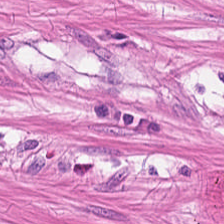H&E stain — Q: What is the predominant tissue type?
A: This is smooth muscle.
